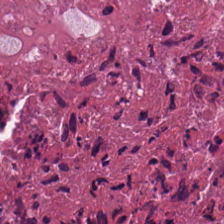Hematoxylin-and-eosin stained section. Classification: debris.
